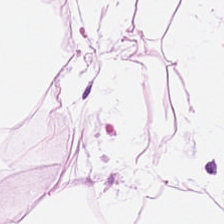Brightfield. 20× equivalent magnification. H&E stain.
{"tissue_type": "adipose"}
